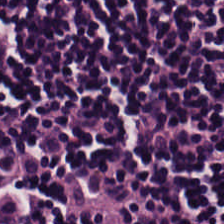Stain: hematoxylin and eosin.
Tile size: 224×224 px tile.
Classification: lymphocytes.
